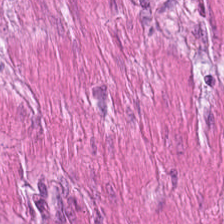Brightfield microscopy; H&E-stained tissue section.
Predominant tissue: smooth muscle.
